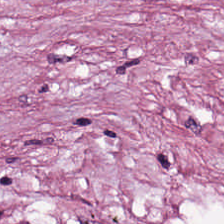Histology — tumor stroma.
